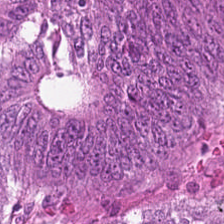Hematoxylin and eosin. Showing tumor epithelium.
